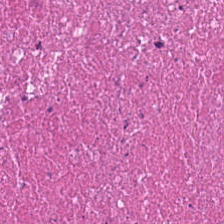0.5 µm/px; formalin-fixed paraffin-embedded section; H&E stain.
The predominant tissue is debris.
